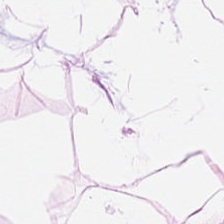{"tissue_type": "fat tissue"}
